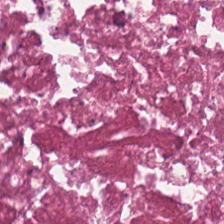WSI patch · FFPE · H&E. Q: What tissue type is shown here?
A: It is necrotic debris.
